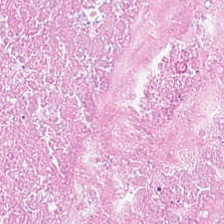H&E. This patch shows necrotic debris.
